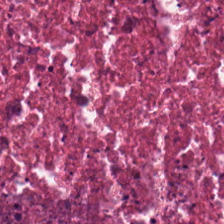Hematoxylin-and-eosin stained section; brightfield.
The tissue class is necrotic debris.
